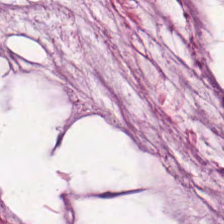Q: What does this patch show?
A: The field shows mucus.
